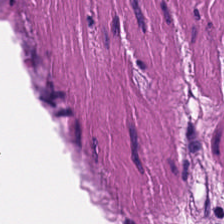The tissue is smooth muscle.
